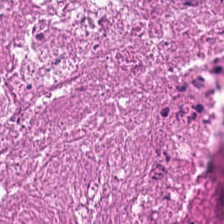Necrotic debris.
